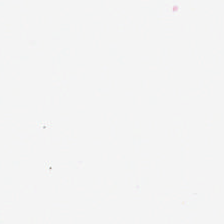224×224 pixel tile; H&E-stained tissue section.
Content — empty background.
